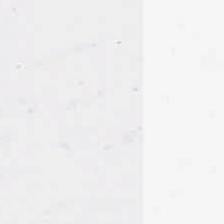Brightfield · H&E.
Field content: background.
